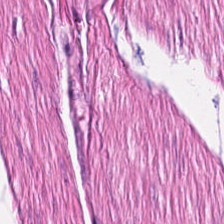H&E stain — Showing smooth muscle.
